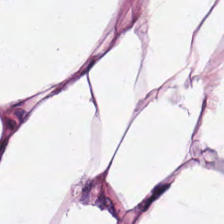H&E stain. Q: What tissue is shown?
A: This is adipose tissue.
